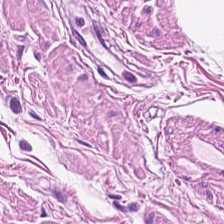224×224 px patch · hematoxylin-and-eosin stained section. {"tissue_type": "muscularis"}
